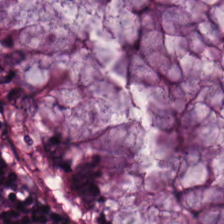H&E — Tissue type — normal colonic mucosa.
